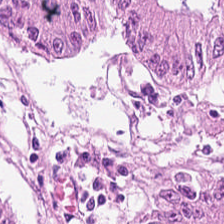WSI patch; hematoxylin and eosin; 0.5 microns per pixel. Predominantly malignant epithelium.
